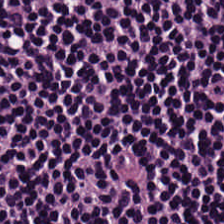H&E-stained tissue section — Tissue class: lymphocytic infiltrate.
